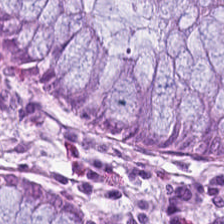The tissue class is benign colonic mucosa.
